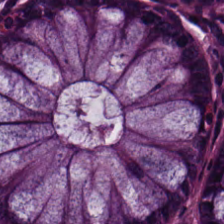H&E-stained tissue section. Brightfield.
This field is non-neoplastic colon mucosa.
